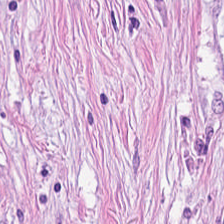Showing tumor stroma.
